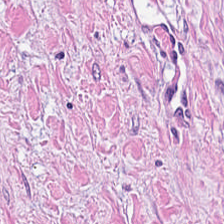Hematoxylin-and-eosin stained section; 0.5 µm/px — Predominantly desmoplastic stroma.
